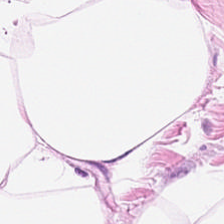224×224 px patch. H&E-stained tissue section. Whole-slide-image patch. Finding — adipocytes.
